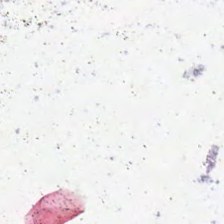Hematoxylin and eosin · 224×224 px patch. Histology — no tissue.
